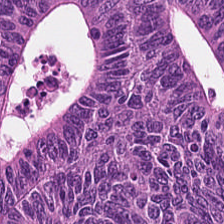20× equivalent magnification; H&E; FFPE.
The tissue type is malignant epithelium.
